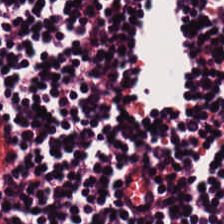H&E-stained tissue section. Q: What does this patch show?
A: Lymphoid infiltrate.
